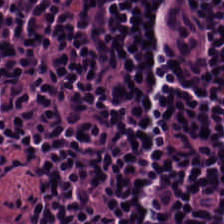FFPE tissue section. Hematoxylin and eosin.
Lymphoid infiltrate.
